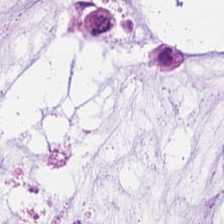Classification: extracellular mucin.
